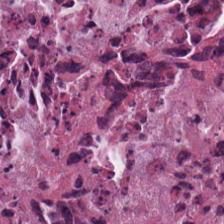H&E — cellular debris.
